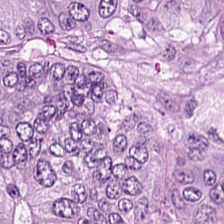FFPE tissue section · hematoxylin and eosin — Q: What tissue type is shown here?
A: It is colorectal adenocarcinoma.
